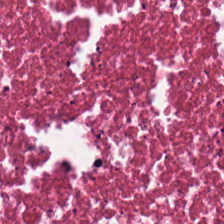Hematoxylin-and-eosin stained section.
Q: Identify the tissue.
A: It is debris.
